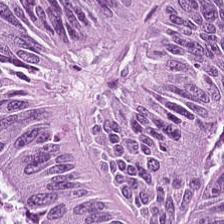H&E-stained tissue section. Q: What is the predominant tissue type?
A: Tumor epithelium.
